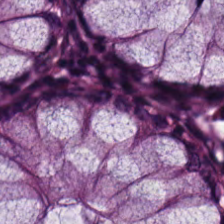Formalin-fixed paraffin-embedded section. H&E stain. Whole-slide-image patch — Showing non-neoplastic colon mucosa.
